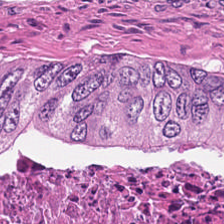20× equivalent magnification. WSI patch. Hematoxylin and eosin. Showing cellular debris.
